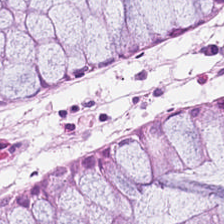Hematoxylin and eosin. Q: What tissue is shown?
A: Non-neoplastic colon mucosa.
